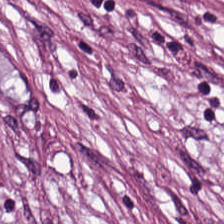The classification is tumor stroma.
